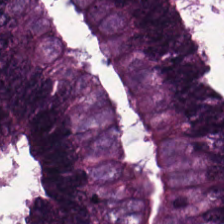Showing adenocarcinoma.
